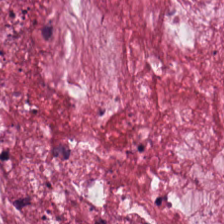Hematoxylin-and-eosin stained section. 0.5 µm per pixel. Brightfield. The predominant tissue is mucus.
